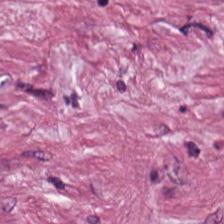H&E. This field is tumor stroma.
